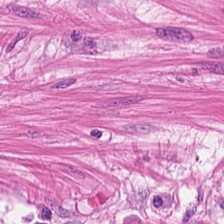Q: What is the predominant tissue type?
A: The field shows smooth muscle.
